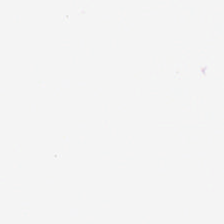FFPE; H&E. {"content": "no tissue"}
